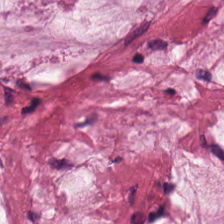0.5 µm/px · hematoxylin and eosin — The predominant tissue is mucus.
